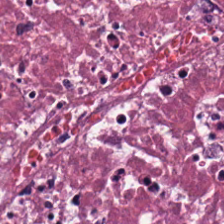Necrotic debris.
